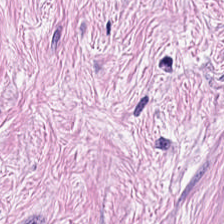Predominantly cancer-associated stroma.
